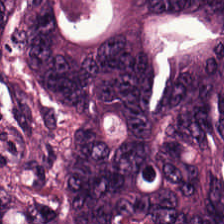Stain: hematoxylin and eosin.
Predominant tissue: malignant epithelium.
